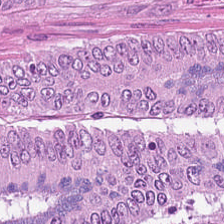Stain: hematoxylin-and-eosin stained section.
Predominant tissue: adenocarcinoma.
